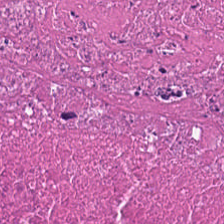Hematoxylin-and-eosin stained section. The tissue here is debris.
